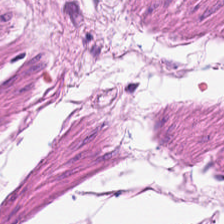224×224 pixel tile. Brightfield microscopy. H&E-stained tissue section. Q: Identify the tissue.
A: This is smooth-muscle tissue.
